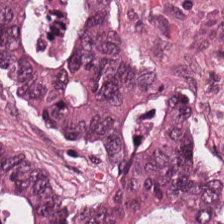H&E. 20× equivalent magnification. Brightfield — Malignant epithelium.
